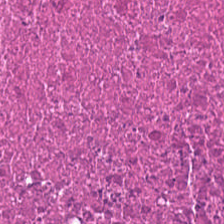H&E · 224×224 px tile — {"tissue_type": "cellular debris"}
